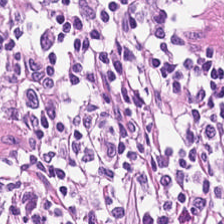Hematoxylin and eosin; 0.5 microns per pixel. Q: Identify the tissue.
A: Lymphocyte aggregate.
